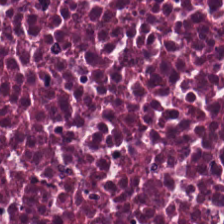H&E stain. 224×224 pixel tile — Q: Identify the tissue.
A: This is debris.
